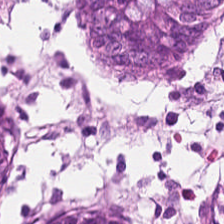Formalin-fixed paraffin-embedded section; H&E stain — Classification: non-neoplastic colon mucosa.
